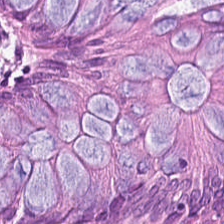Stain: H&E.
Preparation: FFPE.
Tissue type: normal colon mucosa.
